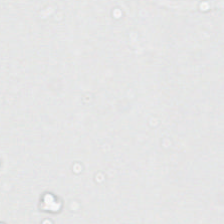Brightfield microscopy. Hematoxylin and eosin — Classification = no tissue.
